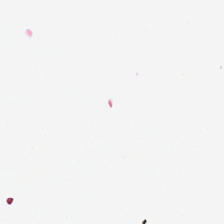0.5 µm per pixel. Hematoxylin-and-eosin stained section.
Empty field — background.
